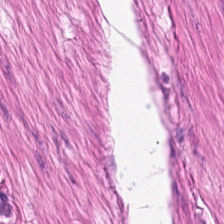Brightfield microscopy; hematoxylin-and-eosin stained section.
Impression → smooth-muscle tissue.
